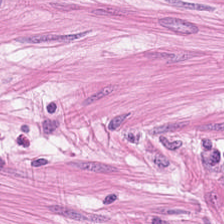H&E stain. Predominant tissue — smooth muscle.
